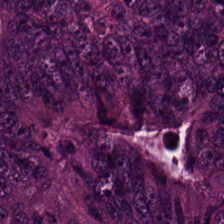Histology — colorectal adenocarcinoma.
